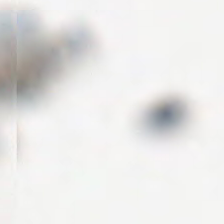Field content: no tissue.
